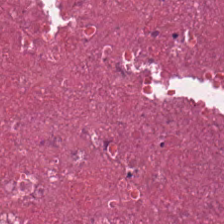Stain: H&E stain.
Tissue type: cellular debris.
